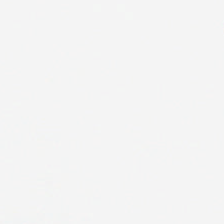Hematoxylin-and-eosin stained section · WSI patch. {"content": "no tissue"}
